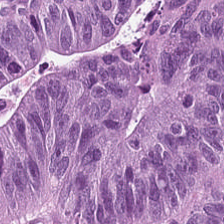Whole-slide-image patch. 20× equivalent magnification. Hematoxylin and eosin.
Tissue — malignant epithelium.
